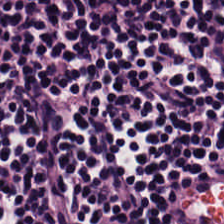This patch shows lymphocytic infiltrate.
